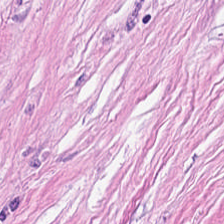Hematoxylin and eosin. Tissue — cancer-associated stroma.
